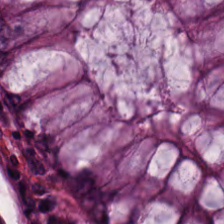Predominant tissue: normal colon mucosa.
